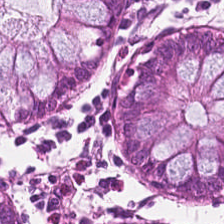Histology — non-neoplastic colon mucosa.
